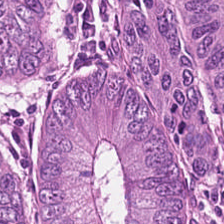H&E-stained tissue section; WSI patch. Tissue = colorectal adenocarcinoma.
